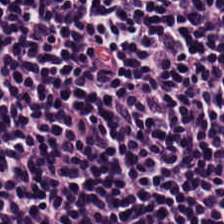H&E.
Showing lymphocyte aggregate.
